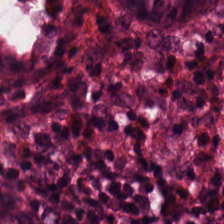The predominant tissue is normal colonic mucosa.
